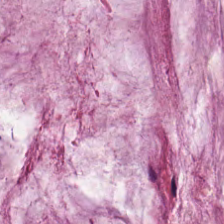Showing extracellular mucin.
